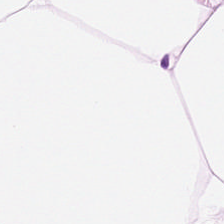0.5 microns per pixel · H&E stain · 224×224 px patch.
Q: What does this patch show?
A: The field shows fat tissue.
